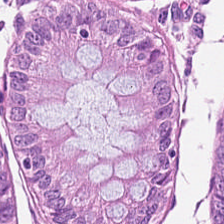Hematoxylin and eosin — Tissue type: non-neoplastic colon mucosa.
